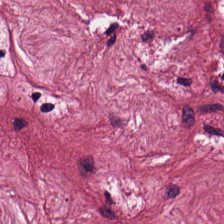H&E — Predominantly tumor stroma.
